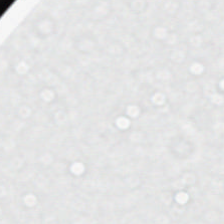Stain: hematoxylin-and-eosin stained section.
Classification: background.
